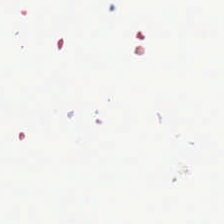224×224 px patch · brightfield · H&E stain — Empty field — no tissue.
